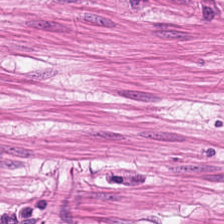Tissue: muscularis.
